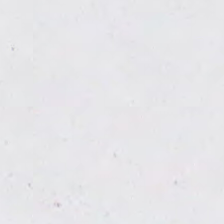Classification: background.
